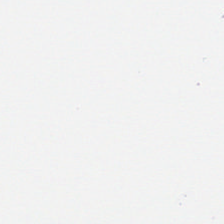Hematoxylin-and-eosin stained section · 20× equivalent magnification. Empty field — empty background.
